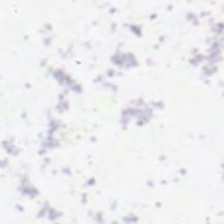Q: Classify this patch.
A: It is no tissue.
